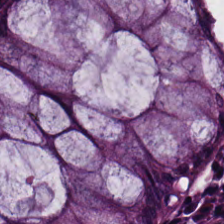Tissue type — non-neoplastic colon mucosa.
